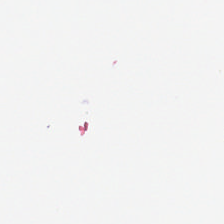Brightfield microscopy. 0.5 microns per pixel. Hematoxylin-and-eosin stained section — No tissue present; background only.
